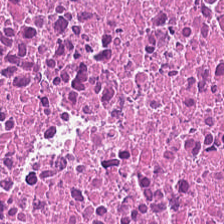224×224 pixel tile. Hematoxylin-and-eosin stained section. 0.5 µm/px.
The tissue here is cellular debris.
